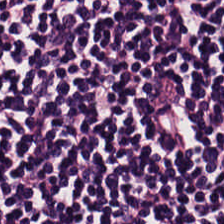H&E — The predominant tissue is lymphocytes.
